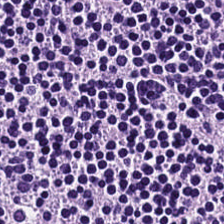Stain: H&E stain.
Preparation: FFPE tissue section.
Acquisition: WSI patch.
Tissue: lymphoid infiltrate.
